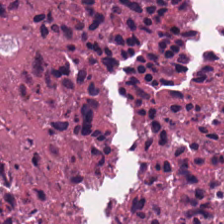Hematoxylin-and-eosin stained section; whole-slide-image patch — Debris.
